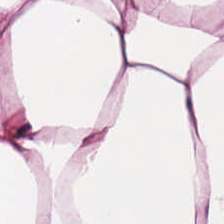0.5 µm/px · H&E — This patch shows adipose tissue.
